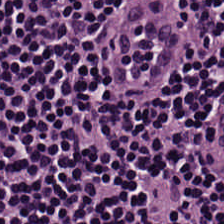Lymphocyte aggregate.
